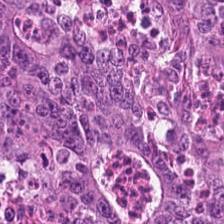The tissue here is tumor epithelium.
